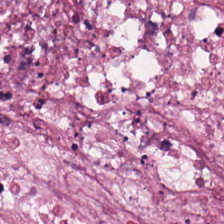Stain: H&E.
Resolution: 0.5 microns per pixel.
Tissue: debris.
